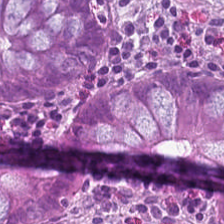0.5 microns per pixel. H&E stain.
Showing benign colonic mucosa.
